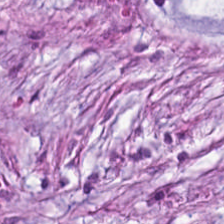Hematoxylin-and-eosin stained section. Histology — tumor stroma.
